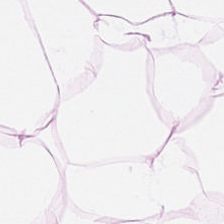0.5 µm/px · H&E-stained tissue section — Tissue type = fat tissue.
